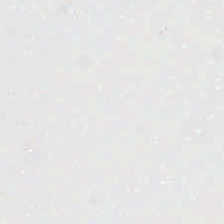H&E; formalin-fixed paraffin-embedded section.
This field is background (no tissue).
